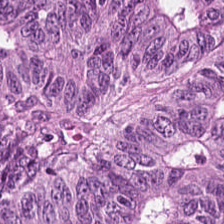Q: What does this patch show?
A: The field shows adenocarcinoma.
